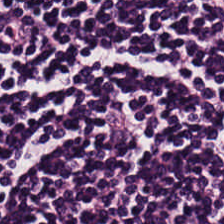H&E stain. This patch shows lymphocyte aggregate.
